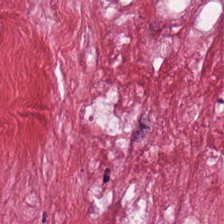Hematoxylin-and-eosin stained section; brightfield — This patch shows cancer-associated stroma.
